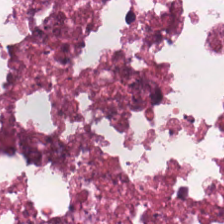H&E-stained tissue section. This patch shows cellular debris.
